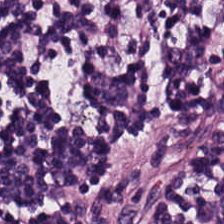Hematoxylin and eosin · 224×224 pixel tile · 0.5 µm per pixel — Impression — lymphoid infiltrate.
